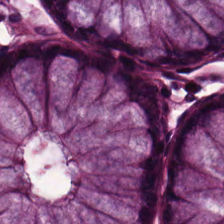Hematoxylin-and-eosin stained section.
The predominant tissue is non-neoplastic colon mucosa.
